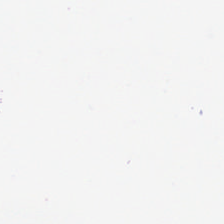Hematoxylin and eosin; 0.5 microns per pixel; 224×224 px tile. Q: Classify this patch.
A: This is empty background.
